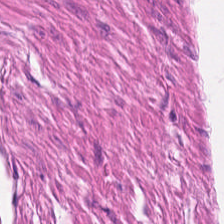Brightfield · FFPE · hematoxylin and eosin — Predominant tissue = smooth muscle.
